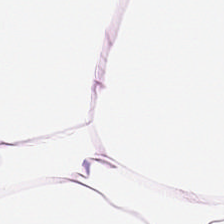WSI patch. Hematoxylin-and-eosin stained section. This patch shows adipocytes.
